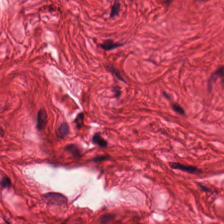H&E stain. 0.5 µm/px. Muscularis.
